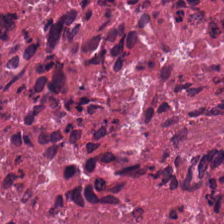Hematoxylin and eosin. Necrotic debris.
